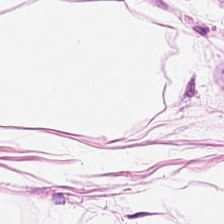Hematoxylin-and-eosin section: adipose.
